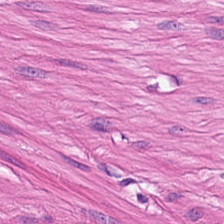Q: What tissue is shown?
A: Smooth-muscle tissue.
